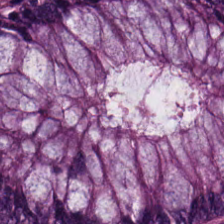The tissue class is benign colonic mucosa.
